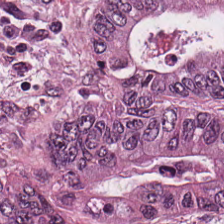0.5 microns per pixel; H&E.
Q: What is the predominant tissue type?
A: This is malignant epithelium.
